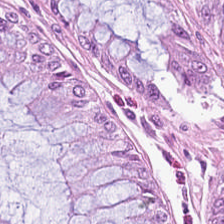H&E-stained tissue section; brightfield microscopy. Classification = non-neoplastic colon mucosa.
